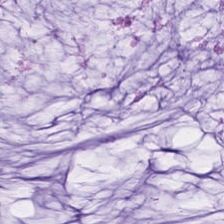Formalin-fixed paraffin-embedded section. Brightfield microscopy. Hematoxylin-and-eosin stained section.
This patch shows mucus.
